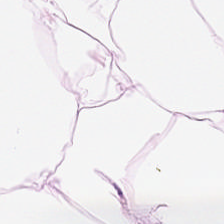Finding — adipose.
